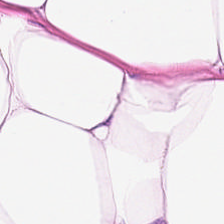Hematoxylin-and-eosin stained section. The predominant tissue is adipocytes.
